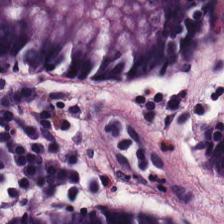Stain: hematoxylin and eosin.
Tile size: 224×224 pixel tile.
Acquisition: brightfield microscopy.
Tissue: normal colon mucosa.
